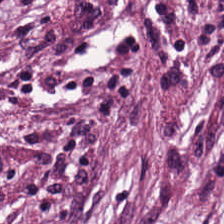This field is tumor-associated stroma.
